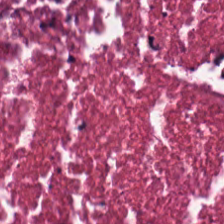Hematoxylin-and-eosin stained section.
Histology → debris.
